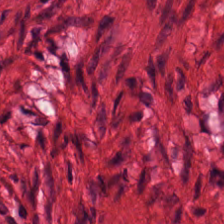Showing smooth muscle.
